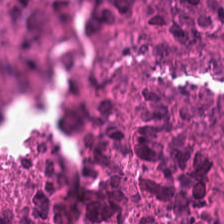Hematoxylin and eosin — Q: Identify the tissue.
A: The field shows debris.
